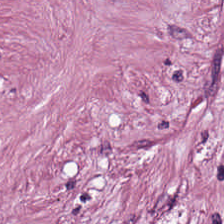Brightfield; H&E-stained tissue section; 224×224 px tile — Tissue class = cancer-associated stroma.
